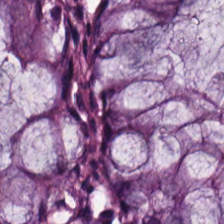Whole-slide-image patch. Hematoxylin-and-eosin stained section. The classification is benign colonic mucosa.
